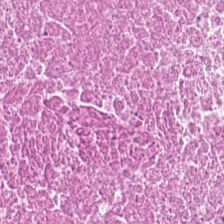H&E-stained tissue section showing debris.
